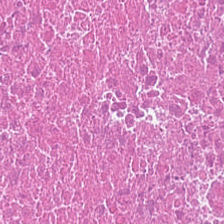Stain: H&E stain.
Classification: necrotic debris.
